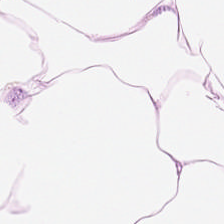Stain: hematoxylin-and-eosin stained section.
Classification: fat tissue.
